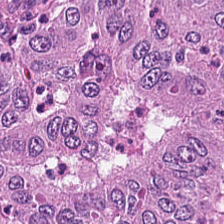Hematoxylin-and-eosin stained section. The predominant tissue is tumor epithelium.
